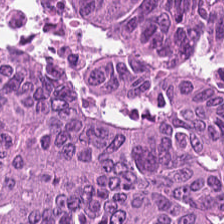Tissue type = adenocarcinoma.
